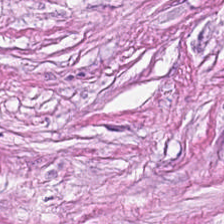Hematoxylin-and-eosin section: desmoplastic stroma.
